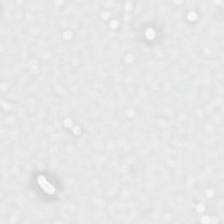Stain: H&E stain.
Field content: background.
